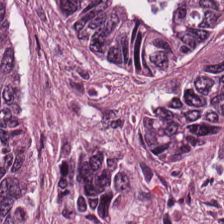H&E. Showing colorectal adenocarcinoma.
